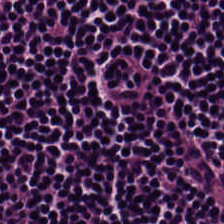H&E stain — Finding → lymphoid infiltrate.
